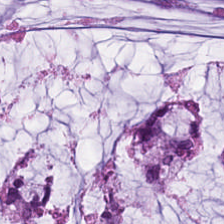H&E stain; WSI patch; formalin-fixed paraffin-embedded section. Predominantly mucin.
